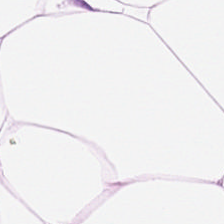H&E — fat tissue.
